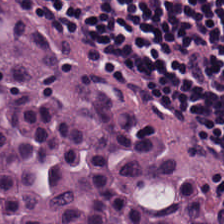Hematoxylin and eosin; 224×224 px patch.
Showing lymphocyte aggregate.
